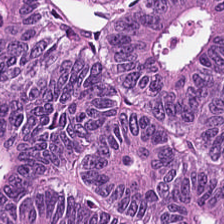H&E.
Q: What is shown here?
A: This is tumor epithelium.
